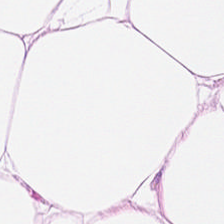H&E stain; FFPE tissue section; 0.5 microns per pixel. Histology — adipocytes.
